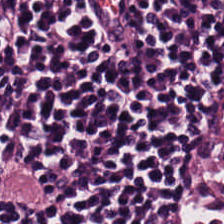The tissue is lymphoid infiltrate.
